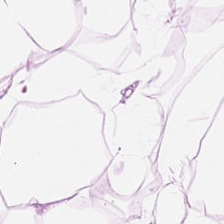H&E — adipose.
